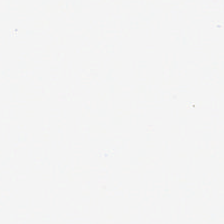H&E-stained tissue section; 224×224 px tile — Impression — background (no tissue).
